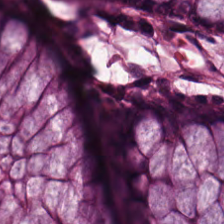H&E-stained tissue section. Tissue — benign colonic mucosa.
